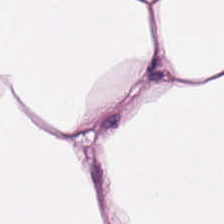Stain: hematoxylin-and-eosin stained section.
Tissue: fat tissue.
